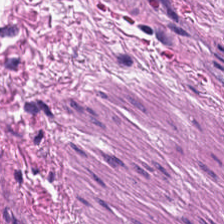20× equivalent magnification; H&E.
Q: What type of tissue is this?
A: This is muscularis.
